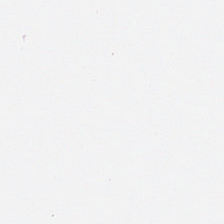Hematoxylin-and-eosin stained section. Histology → no tissue.
